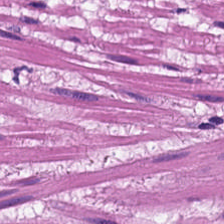Formalin-fixed paraffin-embedded section · 224×224 px tile · H&E-stained tissue section.
Smooth muscle.
